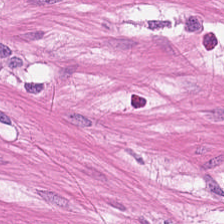Classification: muscularis.
